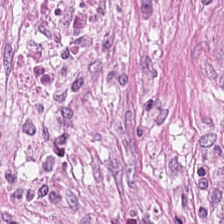H&E-stained tissue section; 224×224 px patch; 0.5 µm/px. Q: What tissue type is shown here?
A: The field shows desmoplastic stroma.
